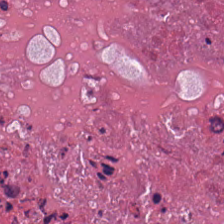224×224 pixel tile · H&E stain — This field is debris.
